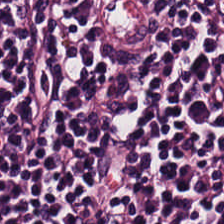Stain: H&E-stained tissue section.
Tissue: lymphocytic infiltrate.
